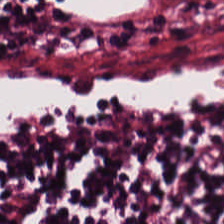Stain: H&E-stained tissue section.
Tissue: lymphoid infiltrate.
